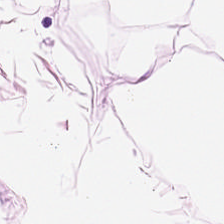Tissue — adipose.
